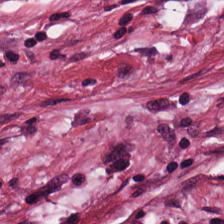H&E-stained tissue section — Histology — desmoplastic stroma.
